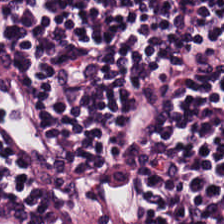20× equivalent magnification; hematoxylin and eosin — This patch shows lymphocytes.
